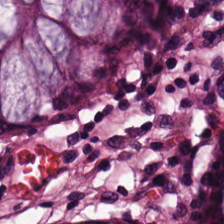H&E; 0.5 µm/px — Histology — normal colon mucosa.
